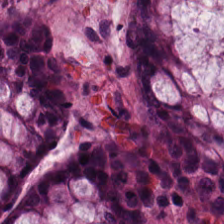H&E. 20× equivalent magnification. This patch shows normal colonic mucosa.
